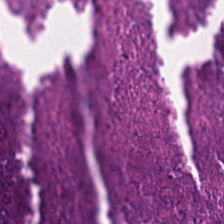224×224 px tile · hematoxylin-and-eosin stained section.
Classification = necrotic debris.
